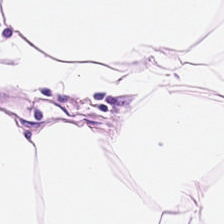Hematoxylin-and-eosin stained section.
This patch shows fat tissue.
